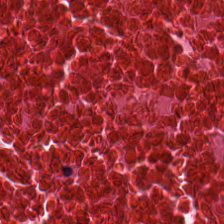Brightfield microscopy. 224×224 pixel tile. Hematoxylin and eosin. Impression — debris.
